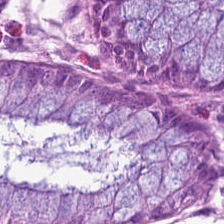Hematoxylin and eosin. Predominantly non-neoplastic colon mucosa.
